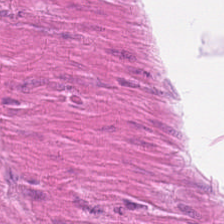Hematoxylin-and-eosin stained section.
Q: What does this patch show?
A: The field shows smooth-muscle tissue.
